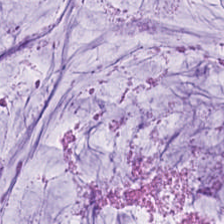Hematoxylin and eosin.
Predominantly extracellular mucin.
